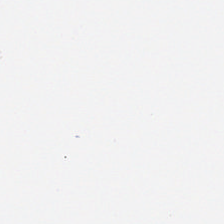H&E-stained tissue section; 224×224 px patch. Classification — background (no tissue).
